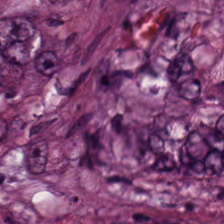Hematoxylin and eosin. The predominant tissue is tumor epithelium.
